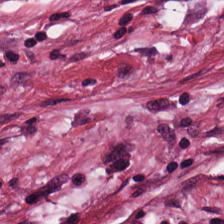224×224 px tile. Hematoxylin and eosin.
Impression — tumor stroma.
